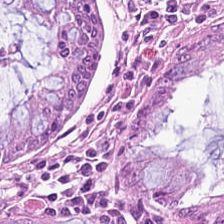Stain: H&E stain.
Tissue: non-neoplastic colon mucosa.
